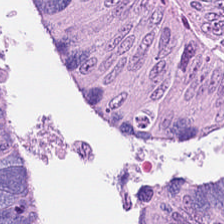The predominant tissue is adenocarcinoma.
